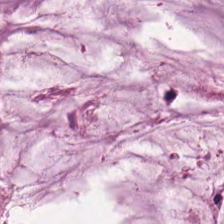WSI patch. 20× equivalent magnification. H&E stain.
This patch shows extracellular mucin.
